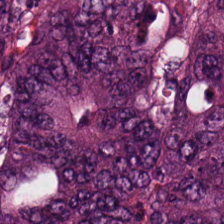Impression → adenocarcinoma.
